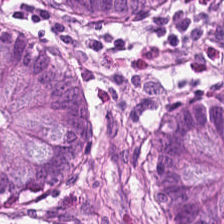FFPE · H&E stain · 0.5 µm per pixel — Classification: non-neoplastic colon mucosa.
